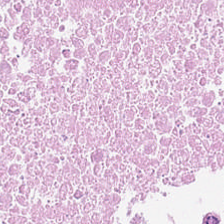Necrotic debris.
